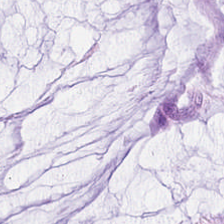H&E stain — The classification is mucus.
